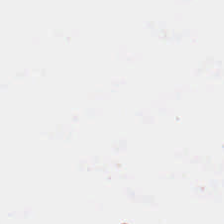FFPE · H&E stain. The content is no tissue.
